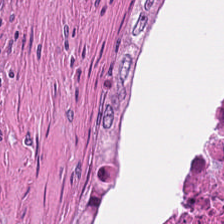Stain: H&E stain.
Predominant tissue: cellular debris.
